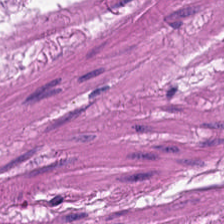Smooth muscle.
